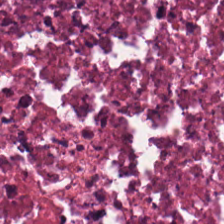H&E — The tissue here is cellular debris.
